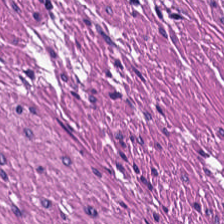Stain: H&E-stained tissue section.
Tissue class: smooth muscle.
